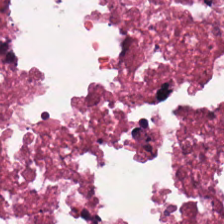Hematoxylin and eosin.
The tissue class is debris.
